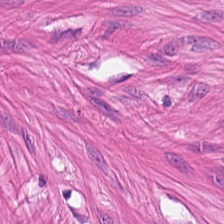H&E — muscularis.
